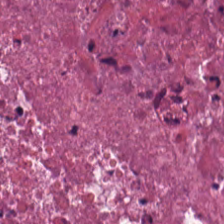Hematoxylin and eosin — Predominantly necrotic debris.
